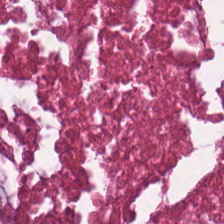Tissue type = debris.
